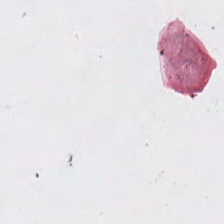Background — no tissue in this field.
